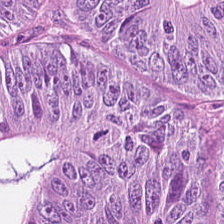H&E-stained tissue section. Q: What is the predominant tissue type?
A: Tumor epithelium.
